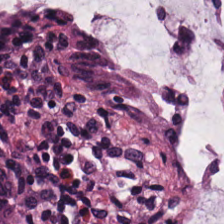H&E · FFPE.
The predominant tissue is benign colonic mucosa.
